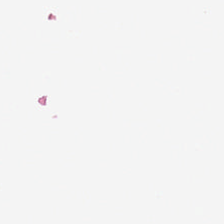Hematoxylin and eosin · 224×224 px tile · FFPE. Q: What is shown in this field?
A: This is empty background.
